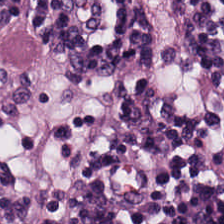Impression — lymphoid infiltrate.
